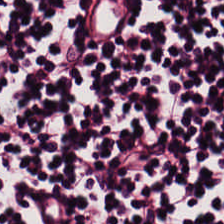224×224 px tile · H&E. Q: What is shown in this field?
A: It is lymphoid infiltrate.
